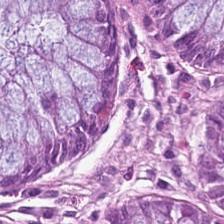H&E-stained tissue section · WSI patch.
Predominantly benign colonic mucosa.
